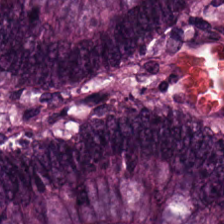H&E stain. Whole-slide-image patch.
The classification is adenocarcinoma.
